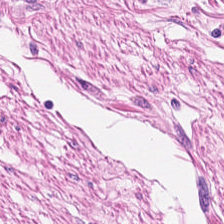This patch shows muscularis.
